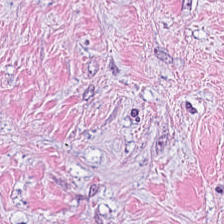Q: What is the predominant tissue type?
A: It is cancer-associated stroma.
